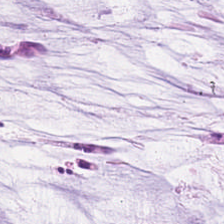{"tissue_type": "extracellular mucin"}
